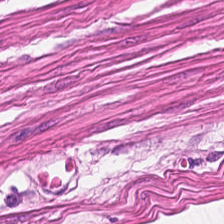H&E-stained tissue section.
Q: What tissue is shown?
A: The field shows smooth muscle.
